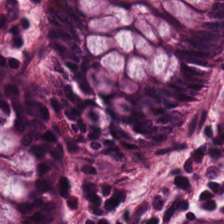224×224 px patch · H&E stain. Predominant tissue = benign colonic mucosa.
